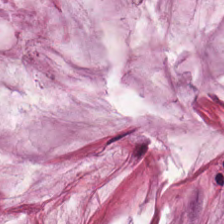Hematoxylin and eosin — The predominant tissue is extracellular mucin.
